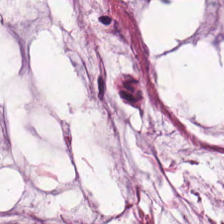Hematoxylin and eosin — This patch shows mucus.
